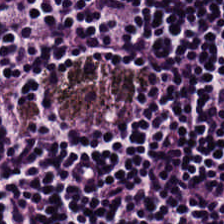0.5 microns per pixel · hematoxylin-and-eosin stained section.
The tissue class is lymphocytes.
